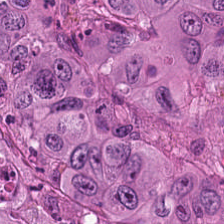224×224 px patch; H&E stain; formalin-fixed paraffin-embedded section.
Tissue: colorectal adenocarcinoma epithelium.
